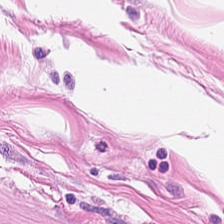224×224 pixel tile; H&E; formalin-fixed paraffin-embedded section. Finding — smooth-muscle tissue.
